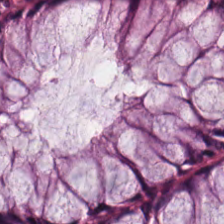Hematoxylin-and-eosin stained section. 224×224 pixel tile. The tissue here is normal colon mucosa.
